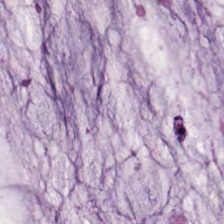H&E-stained section; the field shows mucin.
